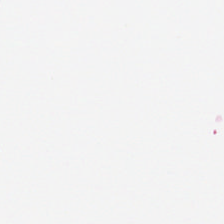Hematoxylin and eosin — Field content — empty background.
